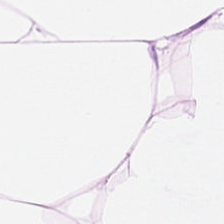H&E · WSI patch.
This patch shows fat tissue.
